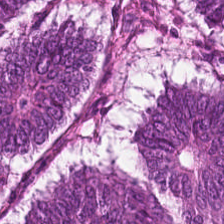Hematoxylin and eosin — {"tissue_type": "tumor epithelium"}
